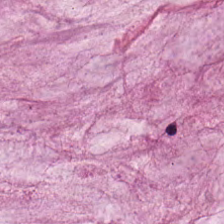Hematoxylin-and-eosin stained section.
Q: What does this patch show?
A: Mucus.
